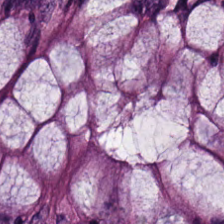Brightfield; hematoxylin-and-eosin stained section; 224×224 pixel tile. The tissue here is normal colonic mucosa.
